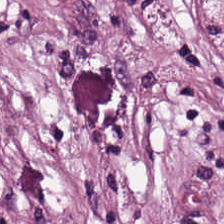Impression → tumor stroma.
